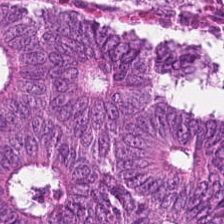H&E stain. The tissue here is malignant epithelium.
